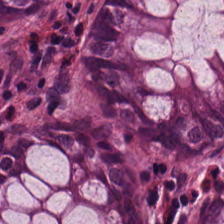224×224 pixel tile. Hematoxylin and eosin. Q: What type of tissue is this?
A: This is non-neoplastic colon mucosa.
